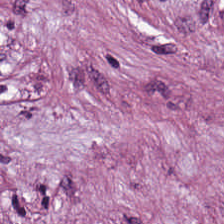H&E · 0.5 µm per pixel. Histology — cancer-associated stroma.
